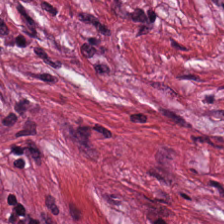Hematoxylin and eosin — Tissue type = cancer-associated stroma.
